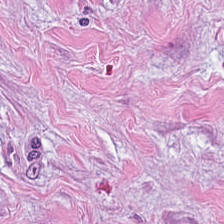Q: What type of tissue is this?
A: Tumor-associated stroma.
